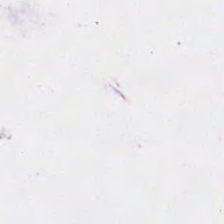Hematoxylin and eosin. FFPE — This patch shows background.
